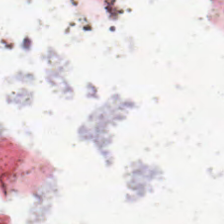Stain: hematoxylin-and-eosin stained section.
Field content: no tissue.
